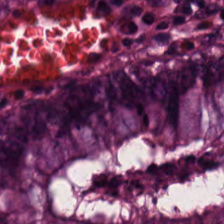H&E; FFPE tissue section — Tissue class = normal colonic mucosa.
